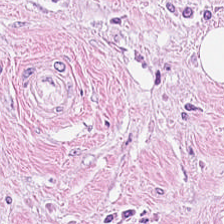Tumor stroma.
